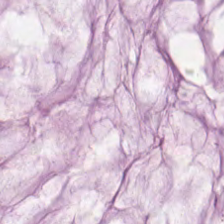H&E patch showing mucus.
